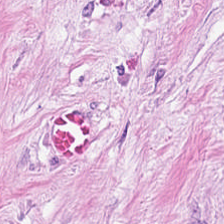Brightfield · hematoxylin-and-eosin stained section.
The predominant tissue is cancer-associated stroma.
